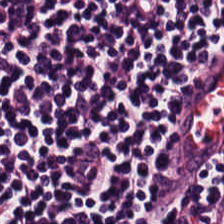H&E-stained tissue section — This patch shows lymphoid infiltrate.
